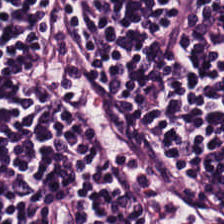Hematoxylin-and-eosin stained section — Showing lymphocyte aggregate.
